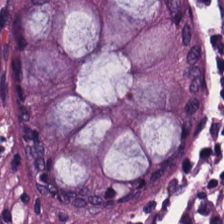Hematoxylin and eosin. Tissue type — normal colon mucosa.
